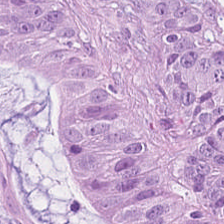Hematoxylin-and-eosin stained section. WSI patch. FFPE.
Predominant tissue = malignant epithelium.
